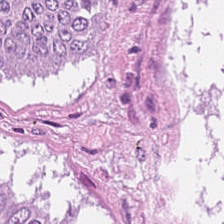Formalin-fixed paraffin-embedded section. Brightfield microscopy. H&E stain.
The tissue here is colorectal adenocarcinoma.
